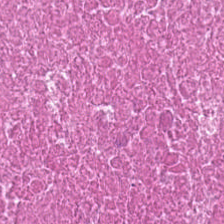Hematoxylin and eosin — Histology — necrotic debris.
